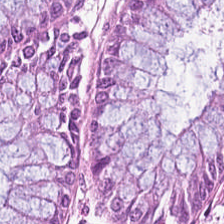Hematoxylin-and-eosin stained section. Histology → normal colon mucosa.
